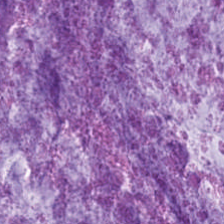H&E. This field is mucin.
